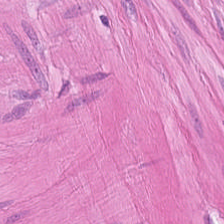This field is smooth-muscle tissue.
